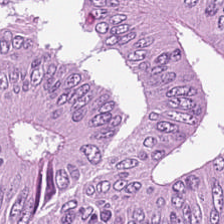Hematoxylin-and-eosin stained section.
The tissue is adenocarcinoma.
